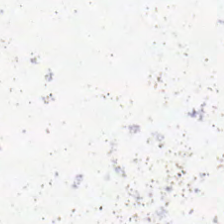H&E stain. 20× equivalent magnification — Background.
